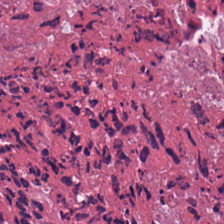Hematoxylin-and-eosin stained section — Q: Identify the tissue.
A: Cellular debris.
